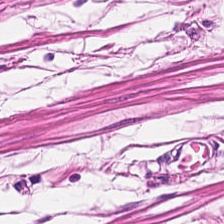H&E-stained tissue section; formalin-fixed paraffin-embedded section.
The predominant tissue is smooth muscle.
